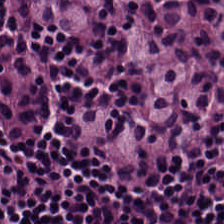H&E-stained tissue section; 224×224 pixel tile.
The predominant tissue is lymphoid infiltrate.
